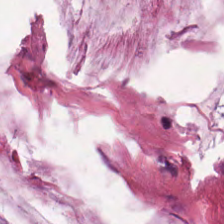H&E — mucin.
